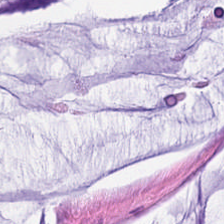0.5 microns per pixel · FFPE · H&E-stained tissue section. Predominantly mucin.
